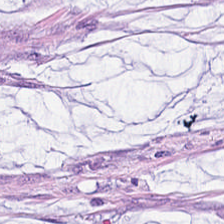H&E stain; WSI patch — This patch shows mucus.
